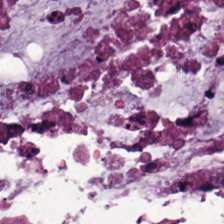This patch shows mucin.
